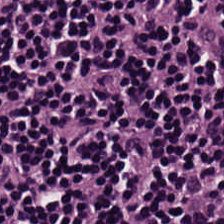0.5 µm/px; FFPE; hematoxylin-and-eosin stained section. Q: What is the predominant tissue type?
A: The field shows lymphoid infiltrate.
